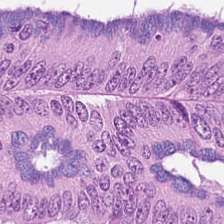224×224 px tile · formalin-fixed paraffin-embedded section · hematoxylin and eosin. The predominant tissue is colorectal adenocarcinoma epithelium.
